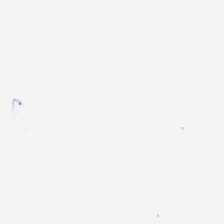Stain: hematoxylin-and-eosin stained section.
Preparation: formalin-fixed paraffin-embedded section.
Tile size: 224×224 pixel tile.
Content: background.
